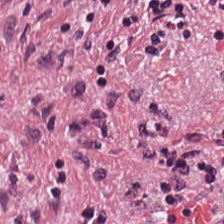Stain: H&E.
Tissue: desmoplastic stroma.
